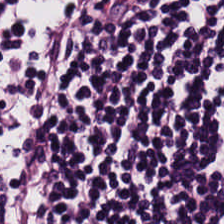Hematoxylin-and-eosin stained section · whole-slide-image patch · 224×224 px tile — Histology — lymphocytic infiltrate.
